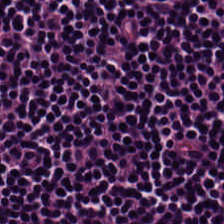The tissue is lymphocyte aggregate.
